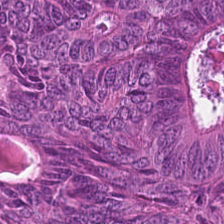Whole-slide-image patch. Hematoxylin-and-eosin stained section — {"tissue_type": "colorectal adenocarcinoma epithelium"}
